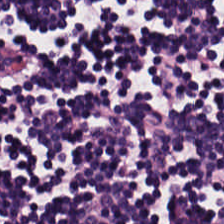0.5 microns per pixel; brightfield microscopy; H&E stain — This patch shows lymphocyte aggregate.
